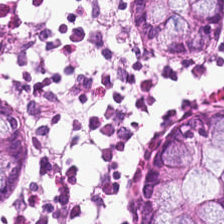H&E · formalin-fixed paraffin-embedded section. The classification is non-neoplastic colon mucosa.
